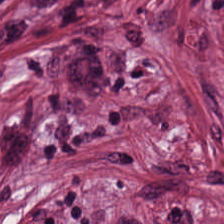H&E stain. This patch shows cancer-associated stroma.
